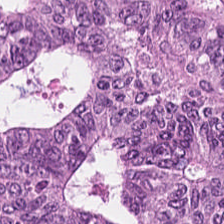H&E-stained tissue section showing colorectal adenocarcinoma.
